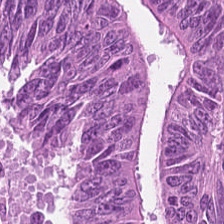H&E stain. The tissue here is malignant epithelium.
